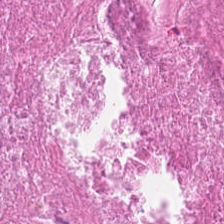Hematoxylin-and-eosin stained section. This field is cellular debris.
